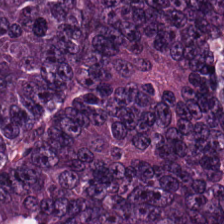Stain: hematoxylin-and-eosin stained section.
Tile size: 224×224 px tile.
Tissue: colorectal adenocarcinoma.
